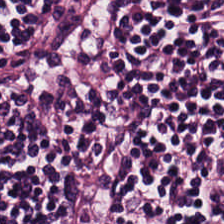This field is lymphocytic infiltrate.
